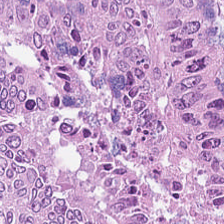H&E — The tissue is colorectal adenocarcinoma.
